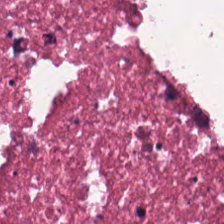Stain: H&E stain.
Predominant tissue: cellular debris.
